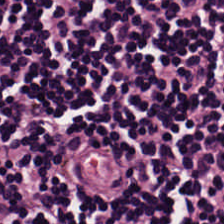Hematoxylin-and-eosin section: lymphoid infiltrate.
